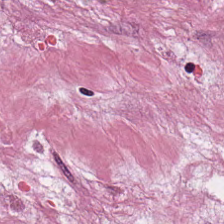Histology — cancer-associated stroma.
